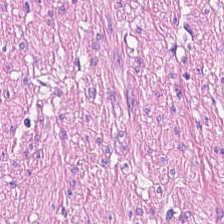Stain: H&E-stained tissue section.
Preparation: FFPE.
Tissue class: muscularis.
